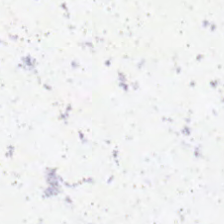Stain: H&E stain.
Content: background (no tissue).
